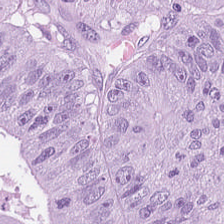Hematoxylin and eosin — Q: Identify the tissue.
A: Colorectal adenocarcinoma epithelium.
